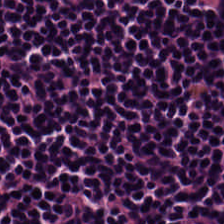Stain: H&E stain.
Tissue type: lymphocytic infiltrate.
